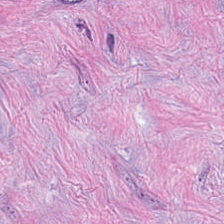The tissue here is tumor-associated stroma.
